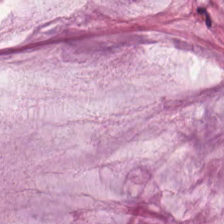Hematoxylin-and-eosin stained section — The predominant tissue is mucin.
